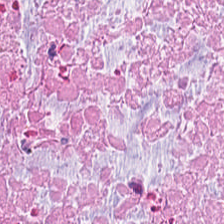H&E-stained tissue section.
The tissue type is debris.
